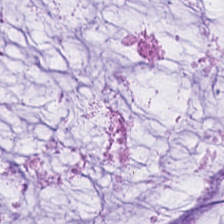Hematoxylin and eosin · WSI patch. The predominant tissue is extracellular mucin.
